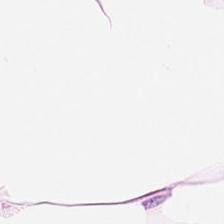224×224 px tile. 0.5 microns per pixel. Hematoxylin-and-eosin stained section. This patch shows adipose.
